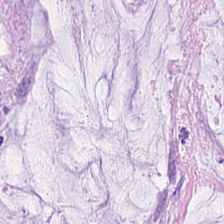224×224 px tile · hematoxylin and eosin · 0.5 µm/px — Tissue: mucin.
